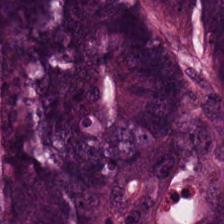Hematoxylin and eosin; WSI patch. {"tissue_type": "malignant epithelium"}
